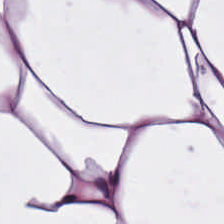Hematoxylin and eosin; 0.5 µm/px — Predominant tissue: fat tissue.
